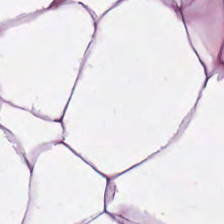H&E-stained tissue section. Q: Identify the tissue.
A: The field shows adipose tissue.
